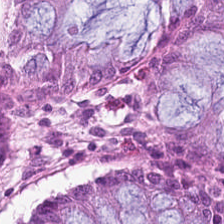Hematoxylin-and-eosin stained section — {"tissue_type": "benign colonic mucosa"}
